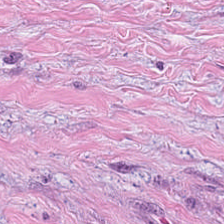Tissue type = tumor-associated stroma.
